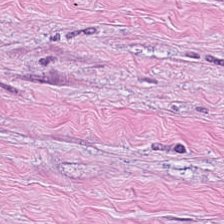Hematoxylin-and-eosin stained section. Predominantly cancer-associated stroma.
